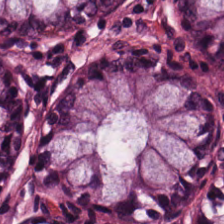Stain: H&E-stained tissue section.
Tile size: 224×224 pixel tile.
Classification: normal colon mucosa.
